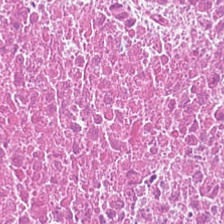Stain: H&E-stained tissue section.
Tile size: 224×224 px patch.
Acquisition: WSI patch.
Predominant tissue: debris.
